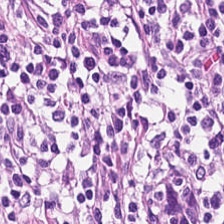H&E.
Histology — lymphocytic infiltrate.
